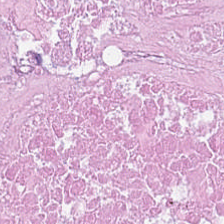Cellular debris.
